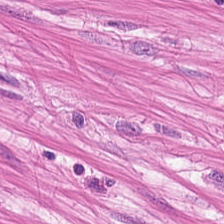Hematoxylin-and-eosin stained section — Tissue type: smooth muscle.
